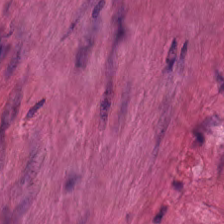224×224 px patch; hematoxylin and eosin; brightfield microscopy.
Predominantly smooth muscle.
